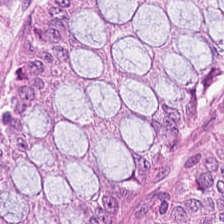Hematoxylin-and-eosin stained section. Q: What tissue is shown?
A: This is non-neoplastic colon mucosa.
